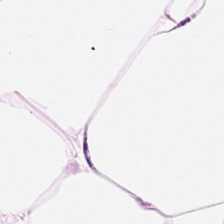Hematoxylin-and-eosin stained section.
Predominant tissue = adipocytes.
